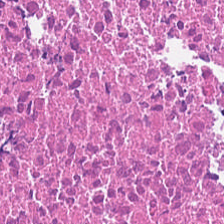Histology — necrotic debris.
